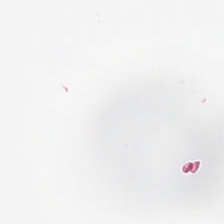H&E · 224×224 px patch — The content is no tissue.
